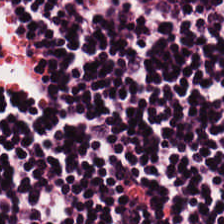WSI patch; 224×224 px tile; H&E — Q: What is shown here?
A: Lymphocytes.
